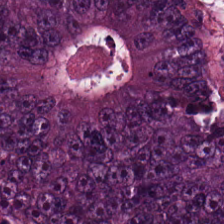H&E — Impression → tumor epithelium.
